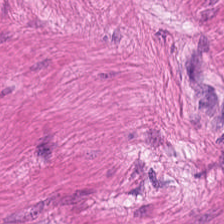20× equivalent magnification. FFPE tissue section. H&E-stained tissue section.
{"tissue_type": "muscularis"}
